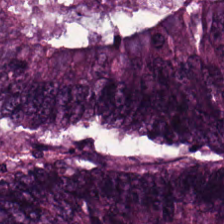Histology → adenocarcinoma.
